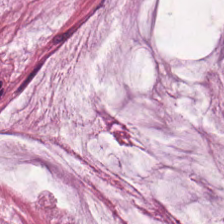Stain: H&E.
Tissue type: mucus.
